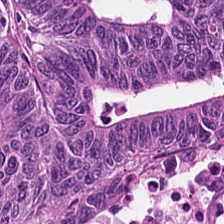224×224 pixel tile; hematoxylin-and-eosin stained section; WSI patch — Adenocarcinoma.
